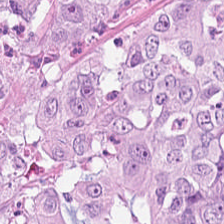Stain: hematoxylin and eosin.
Tissue type: malignant epithelium.
